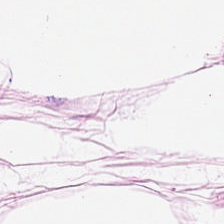Q: What tissue type is shown here?
A: The field shows fat tissue.
